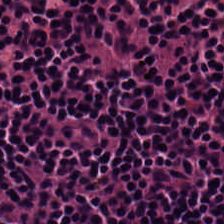H&E stain.
Showing lymphocytic infiltrate.
